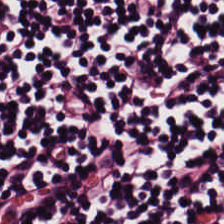WSI patch. H&E stain.
Showing lymphocyte aggregate.
